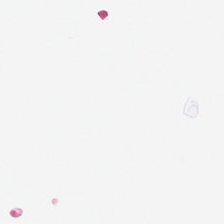H&E. This field is background (no tissue).
